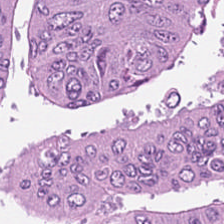Hematoxylin and eosin. Q: Identify the tissue.
A: Malignant epithelium.
